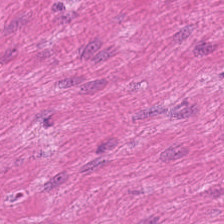Hematoxylin-and-eosin stained section. 224×224 px patch. Q: What tissue type is shown here?
A: This is smooth-muscle tissue.
